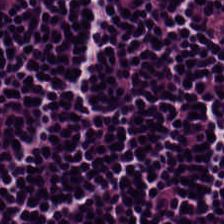Lymphoid infiltrate.
